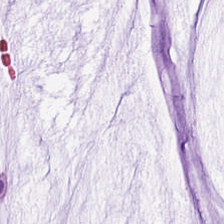H&E stain. 0.5 µm per pixel — The tissue here is mucin.
